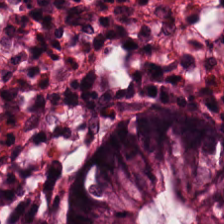Hematoxylin and eosin · 224×224 px patch · 20× equivalent magnification. Tissue class: normal colonic mucosa.
